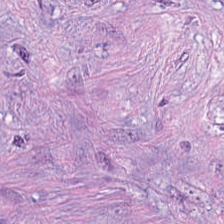Stain: hematoxylin and eosin.
Tissue type: tumor-associated stroma.
